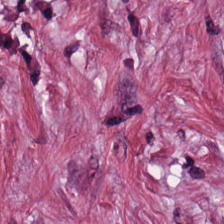Hematoxylin-and-eosin stained section.
Q: What is shown here?
A: It is desmoplastic stroma.
